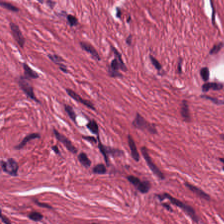FFPE tissue section · brightfield · hematoxylin-and-eosin stained section. The tissue class is tumor-associated stroma.
